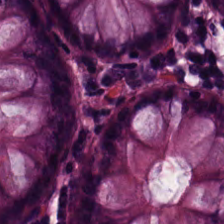Finding → normal colonic mucosa.
